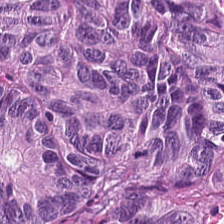Stain: hematoxylin and eosin.
Tissue type: tumor epithelium.
